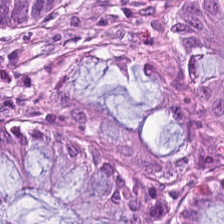224×224 px patch; hematoxylin and eosin; FFPE tissue section.
Predominantly benign colonic mucosa.
